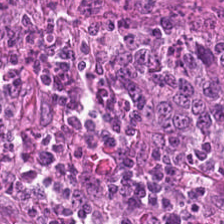H&E stain.
Predominantly adenocarcinoma.
